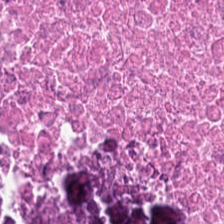Hematoxylin-and-eosin stained section.
Finding — necrotic debris.
